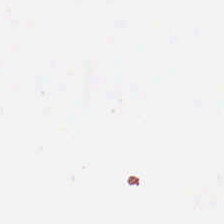Hematoxylin-and-eosin stained section — Q: What is shown here?
A: This is background.
